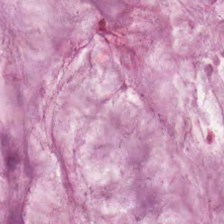H&E-stained tissue section showing mucin.
